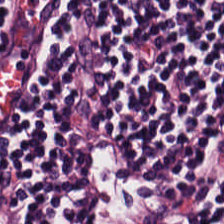0.5 µm per pixel · 224×224 pixel tile · hematoxylin and eosin. Q: Classify this patch.
A: Lymphocyte aggregate.
